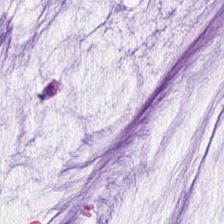H&E — Tissue = mucus.
